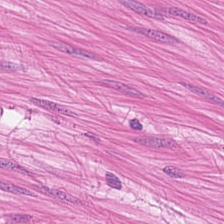Predominantly muscularis.
